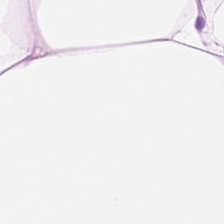Hematoxylin-and-eosin stained section — Finding — adipocytes.
